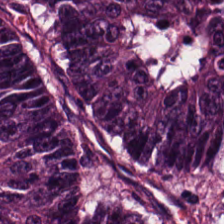H&E · FFPE.
Q: What type of tissue is this?
A: It is adenocarcinoma.
